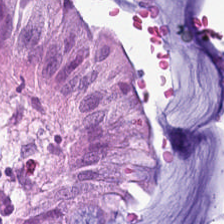H&E-stained tissue section. Q: What tissue type is shown here?
A: Non-neoplastic colon mucosa.
